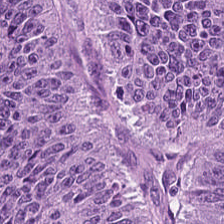Q: What is shown here?
A: The field shows adenocarcinoma.
